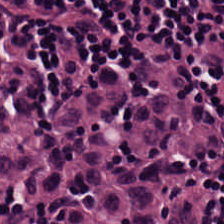H&E stain — Q: What tissue type is shown here?
A: This is lymphocyte aggregate.
